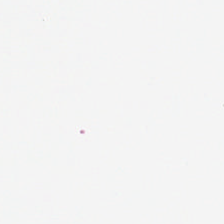0.5 microns per pixel; FFPE; H&E-stained tissue section.
The field content is background (no tissue).
